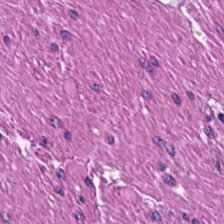Hematoxylin-and-eosin stained section. Predominantly smooth muscle.
